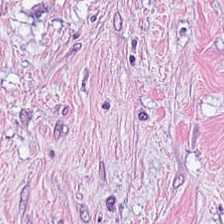H&E.
Q: What tissue type is shown here?
A: Tumor stroma.
